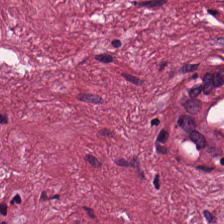Hematoxylin-and-eosin stained section. Tissue class — cancer-associated stroma.
